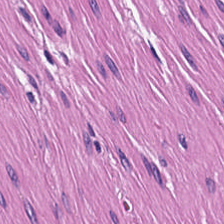224×224 px tile. Hematoxylin-and-eosin stained section. 0.5 µm per pixel. Finding — smooth-muscle tissue.
